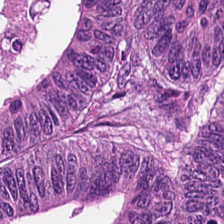H&E stain.
Showing colorectal adenocarcinoma.
